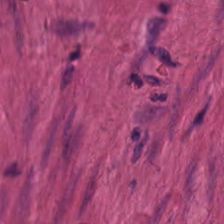H&E-stained tissue section · 224×224 pixel tile · 0.5 µm per pixel — Classification — smooth muscle.
